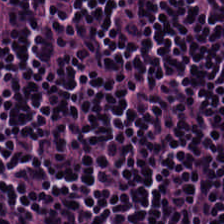Hematoxylin-and-eosin stained section — Tissue class: lymphoid infiltrate.
